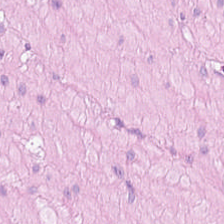Whole-slide-image patch; hematoxylin and eosin — Tissue class = smooth muscle.
